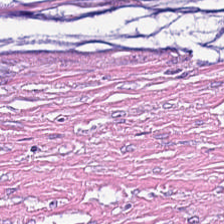H&E stain. Q: What is shown in this field?
A: It is tumor stroma.
